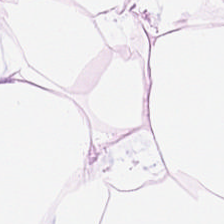Q: What tissue type is shown here?
A: Adipose tissue.
